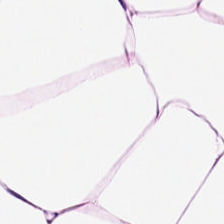This patch shows adipose tissue.
